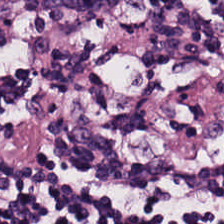H&E · WSI patch — This field is lymphocyte aggregate.
